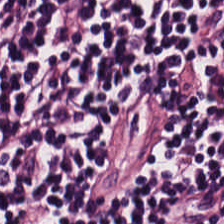Tissue type — lymphocytes.
